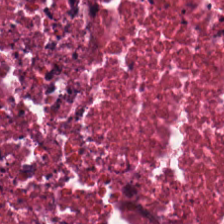Hematoxylin and eosin.
Q: Identify the tissue.
A: Cellular debris.
